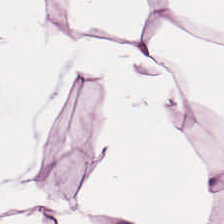Hematoxylin and eosin — Showing adipose.
